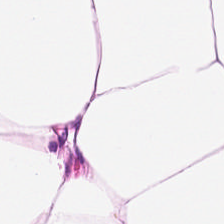Hematoxylin-and-eosin stained section · FFPE tissue section — Adipose tissue.
